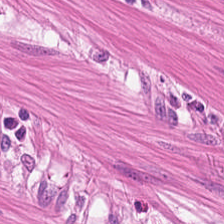H&E.
Predominant tissue = muscularis.
